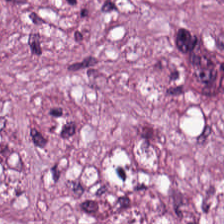H&E stain.
Showing tumor stroma.
